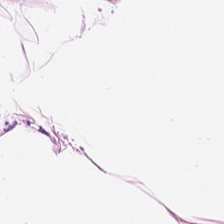224×224 px patch. H&E. Brightfield. Predominantly adipose.
